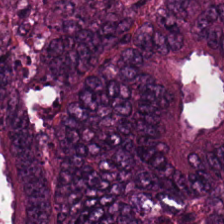H&E — Tissue: colorectal adenocarcinoma epithelium.
